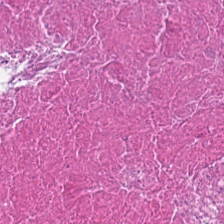Q: What tissue is shown?
A: The field shows necrotic debris.
